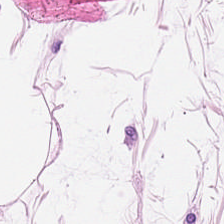This patch shows adipose tissue.
